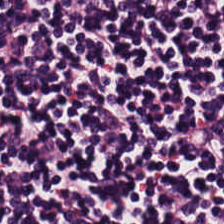H&E-stained tissue section · 224×224 px tile. Showing lymphoid infiltrate.
